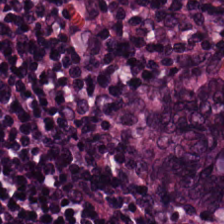H&E — lymphocytes.
